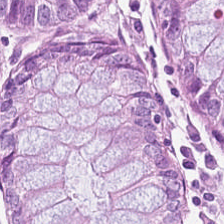224×224 pixel tile. H&E-stained tissue section. Tissue — normal colonic mucosa.
